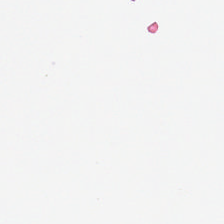H&E-stained tissue section; 20× equivalent magnification.
{"content": "empty background"}
